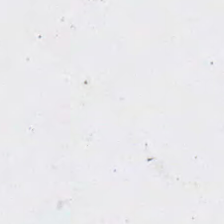WSI patch · hematoxylin-and-eosin stained section. {"content": "empty background"}
